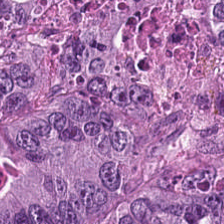H&E-stained section; the field shows colorectal adenocarcinoma epithelium.
